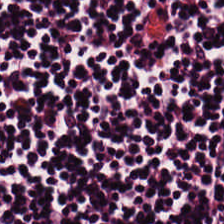0.5 µm/px; H&E-stained tissue section — {"tissue_type": "lymphoid infiltrate"}
